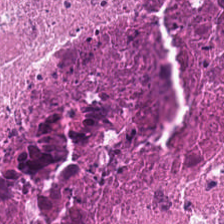Hematoxylin and eosin. FFPE tissue section.
This patch shows debris.
